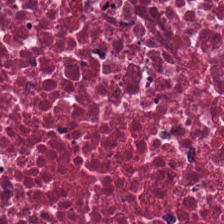Brightfield; 20× equivalent magnification; H&E-stained tissue section — Histology → debris.
